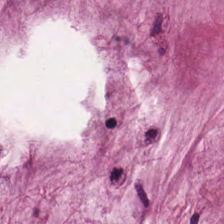{"tissue_type": "mucus"}
